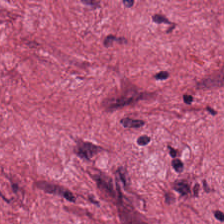Hematoxylin-and-eosin stained section · 0.5 µm/px.
Q: What tissue type is shown here?
A: Tumor stroma.
